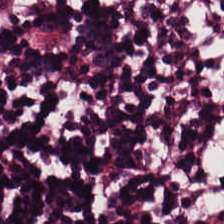H&E stain. Q: What tissue is shown?
A: It is lymphocyte aggregate.
